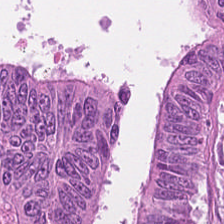Stain: H&E.
Preparation: formalin-fixed paraffin-embedded section.
Classification: adenocarcinoma.
